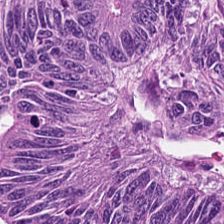H&E-stained tissue section; WSI patch — The predominant tissue is colorectal adenocarcinoma epithelium.
